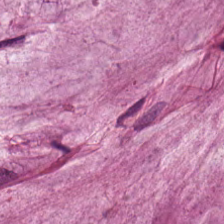Whole-slide-image patch · hematoxylin-and-eosin stained section — The predominant tissue is mucin.
